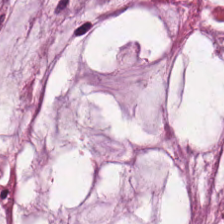224×224 pixel tile; H&E stain.
This field is mucin.
